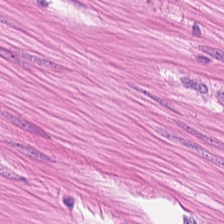H&E stain; 224×224 px tile. Q: What type of tissue is this?
A: This is smooth-muscle tissue.
